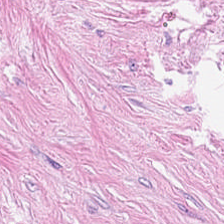Impression — desmoplastic stroma.
